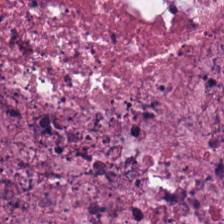H&E-stained tissue section. 224×224 pixel tile — Q: Identify the tissue.
A: It is necrotic debris.
